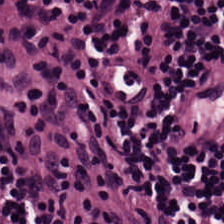H&E · 224×224 px tile.
Impression — lymphocytes.
